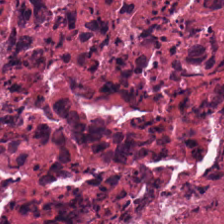FFPE · H&E-stained tissue section. Q: What tissue is shown?
A: Debris.
